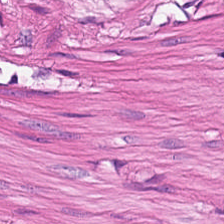H&E-stained tissue section — Q: Classify this patch.
A: It is smooth muscle.
